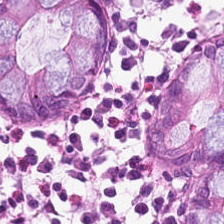Q: What tissue is shown?
A: It is non-neoplastic colon mucosa.
